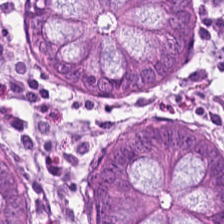Hematoxylin and eosin — The predominant tissue is non-neoplastic colon mucosa.
